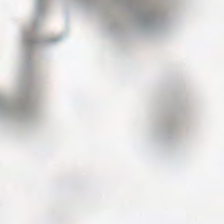H&E stain.
Content: empty background.
